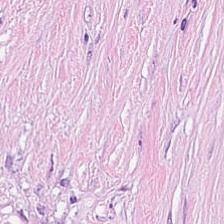224×224 pixel tile. FFPE. H&E-stained tissue section.
Classification = tumor stroma.
